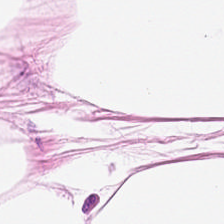0.5 microns per pixel; hematoxylin-and-eosin stained section. Q: What is the predominant tissue type?
A: It is adipose tissue.
